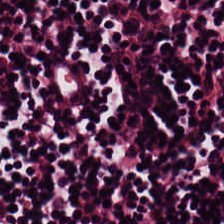The tissue class is lymphocytes.
